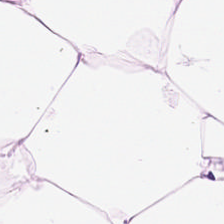H&E — The predominant tissue is adipose.
